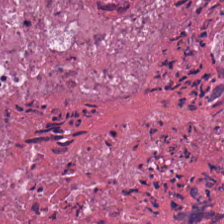Brightfield microscopy; H&E stain.
Predominantly cellular debris.
